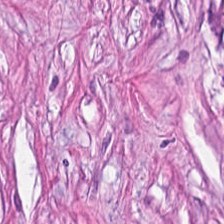Hematoxylin and eosin.
Predominant tissue: cancer-associated stroma.
